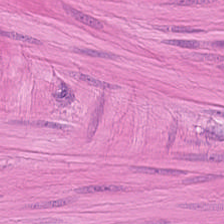H&E.
Predominantly smooth-muscle tissue.
